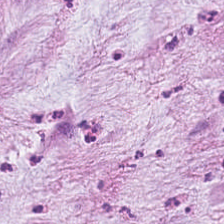H&E-stained tissue section.
Tissue type — mucin.
